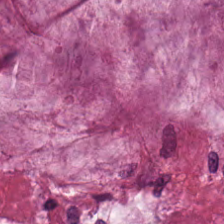FFPE tissue section. H&E stain — Classification — mucin.
